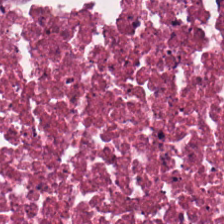H&E — Classification — necrotic debris.
